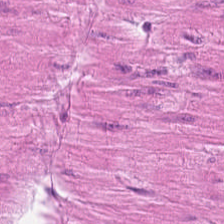WSI patch. H&E.
The tissue here is muscularis.
